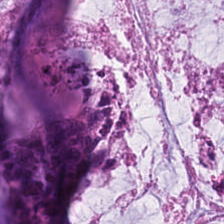H&E stain; brightfield microscopy.
Impression — mucus.
